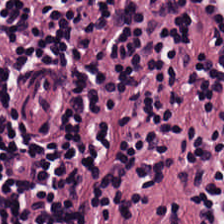Hematoxylin-and-eosin stained section — The tissue type is lymphocytes.
